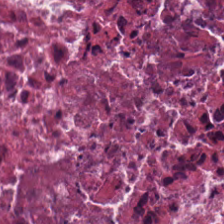Formalin-fixed paraffin-embedded section · hematoxylin and eosin · brightfield microscopy — This field is cellular debris.
